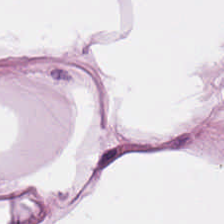This field is adipocytes.
